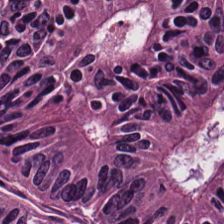224×224 pixel tile. H&E stain. Brightfield microscopy — The predominant tissue is tumor epithelium.
